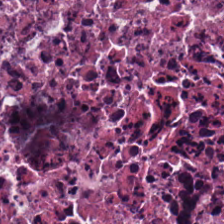Hematoxylin and eosin — Q: What does this patch show?
A: This is debris.
